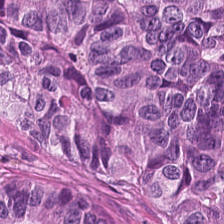Hematoxylin-and-eosin stained section — Classification: malignant epithelium.
